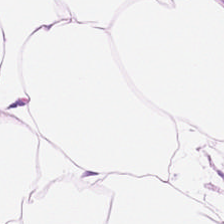Hematoxylin-and-eosin stained section · 0.5 microns per pixel — Tissue = adipose.
